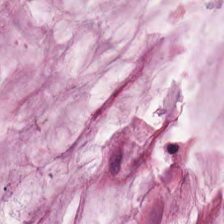H&E. Predominant tissue: extracellular mucin.
